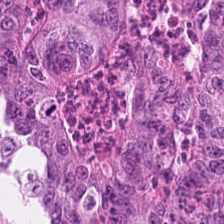H&E stain. Whole-slide-image patch. This patch shows malignant epithelium.
